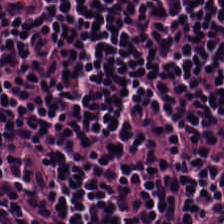H&E stain. Q: What type of tissue is this?
A: The field shows lymphoid infiltrate.
